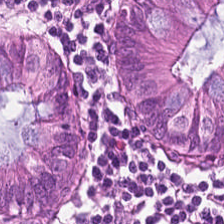H&E — The predominant tissue is benign colonic mucosa.
